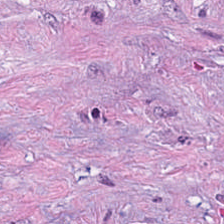Histology — tumor-associated stroma.
